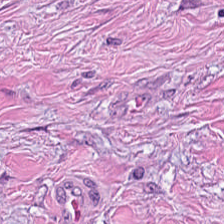H&E-stained tissue section. This field is tumor stroma.
